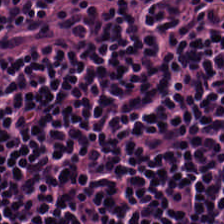H&E. 224×224 px tile. 0.5 µm per pixel — Predominant tissue — lymphocytes.
